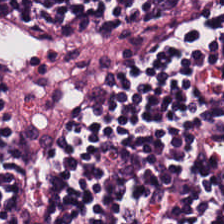H&E-stained tissue section; 224×224 pixel tile. This field is lymphoid infiltrate.
